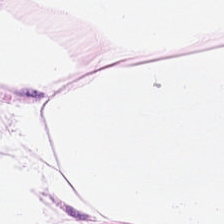This patch shows adipose.
